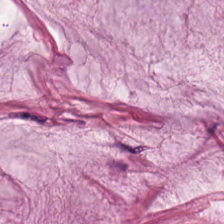H&E stain. 224×224 px tile. 0.5 microns per pixel. This patch shows mucus.
